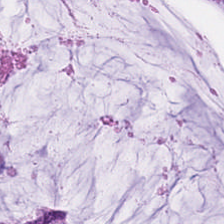Hematoxylin-and-eosin stained section. Mucin.
